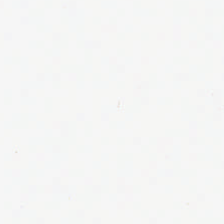Hematoxylin and eosin — {"content": "empty background"}
